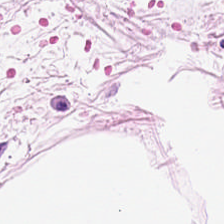Hematoxylin-and-eosin stained section.
Showing fat tissue.
